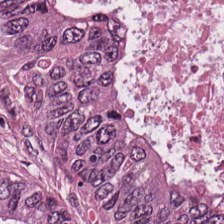Stain: H&E-stained tissue section.
Tissue class: adenocarcinoma.
